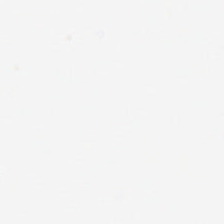Hematoxylin and eosin — Background — no tissue in this field.
